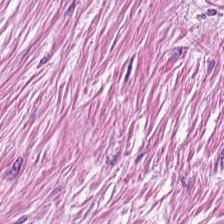FFPE · H&E — Tissue class: tumor-associated stroma.
